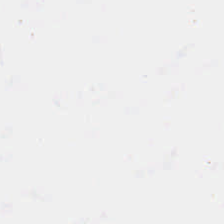0.5 µm per pixel. H&E — Histology — empty background.
